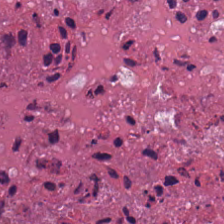The tissue is necrotic debris.
